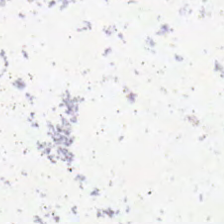{"content": "no tissue"}
